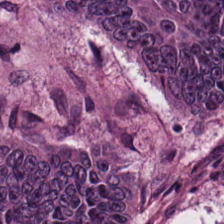224×224 px tile. H&E — This field is malignant epithelium.
